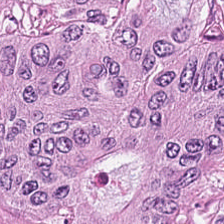Tissue type: colorectal adenocarcinoma.
